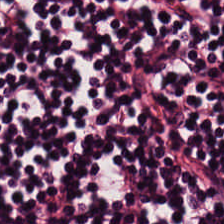Hematoxylin and eosin — Q: Identify the tissue.
A: It is lymphocytes.
